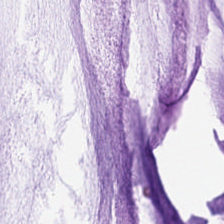H&E-stained tissue section.
This patch shows mucus.
